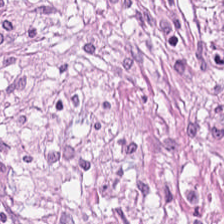224×224 pixel tile · brightfield · H&E. Q: What tissue is shown?
A: It is desmoplastic stroma.
